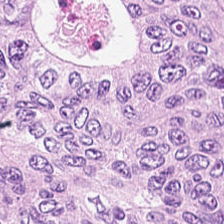The predominant tissue is adenocarcinoma.
